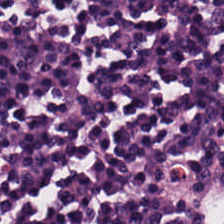H&E — Showing lymphocytes.
